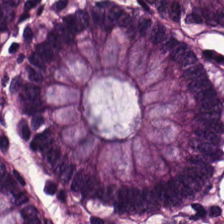FFPE tissue section · hematoxylin-and-eosin stained section.
Tissue — normal colon mucosa.
